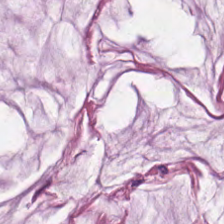Stain: hematoxylin and eosin.
Tissue type: mucus.
